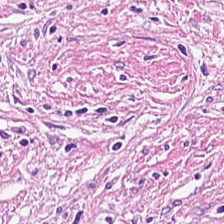H&E — This field is desmoplastic stroma.
